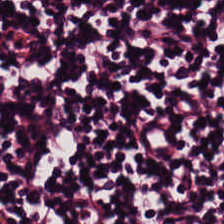H&E.
{"tissue_type": "lymphocyte aggregate"}
